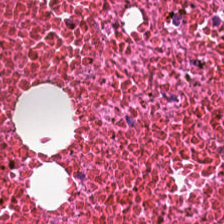H&E; FFPE tissue section — Tissue — necrotic debris.
